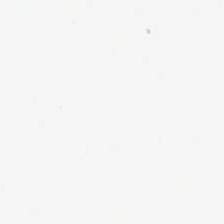Background — no tissue in this field.
